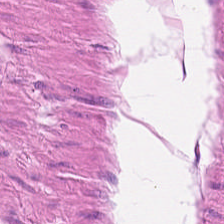Hematoxylin-and-eosin section: smooth-muscle tissue.
